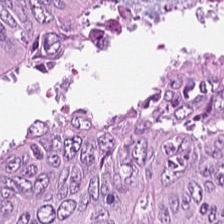Hematoxylin-and-eosin stained section — Colorectal adenocarcinoma epithelium.
